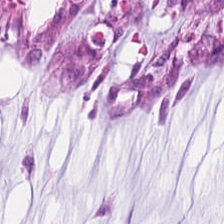Q: Classify this patch.
A: This is mucin.
